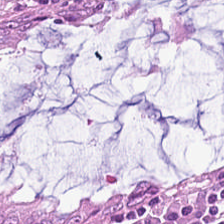H&E.
The classification is normal colon mucosa.
